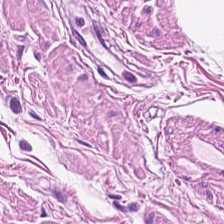Tissue = smooth muscle.
